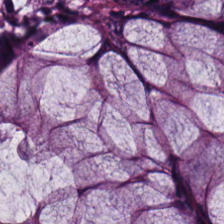H&E-stained tissue section · brightfield.
Non-neoplastic colon mucosa.
